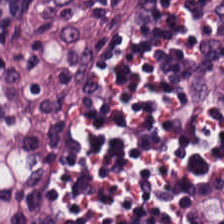Lymphoid infiltrate.
